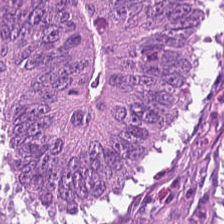H&E stain · 224×224 pixel tile.
This patch shows tumor epithelium.
